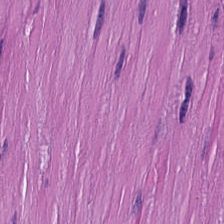Histology — muscularis.
